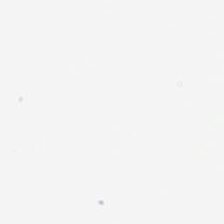Hematoxylin-and-eosin stained section — Q: Classify this patch.
A: Empty background.
